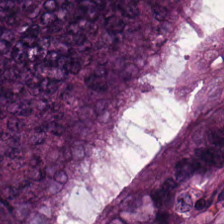H&E-stained tissue section — The predominant tissue is adenocarcinoma.
